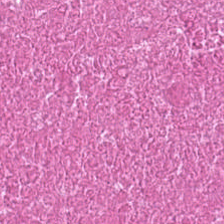Histology → necrotic debris.
